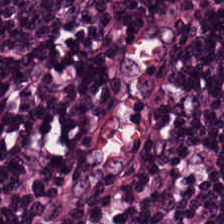H&E stain · whole-slide-image patch. Finding — lymphocyte aggregate.
